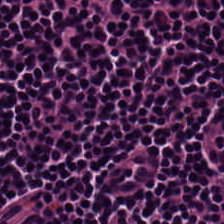Q: What is shown here?
A: It is lymphoid infiltrate.
